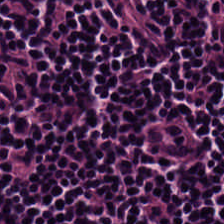H&E; 224×224 pixel tile — Finding → lymphoid infiltrate.
